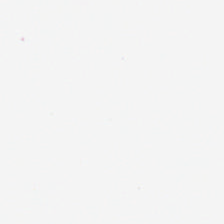H&E-stained tissue section; 224×224 pixel tile; 0.5 microns per pixel. Q: What is shown here?
A: The field shows empty background.
